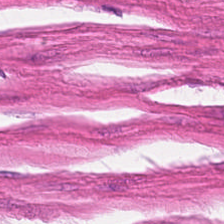Smooth-muscle tissue.
